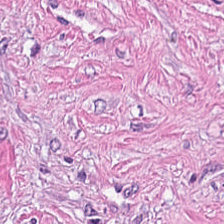H&E-stained tissue section. The predominant tissue is desmoplastic stroma.
